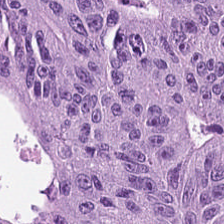Hematoxylin and eosin; 224×224 px tile; whole-slide-image patch — Q: What is shown in this field?
A: This is tumor epithelium.
